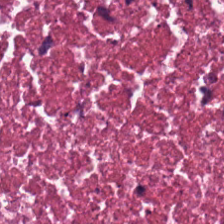H&E-stained tissue section — Showing debris.
